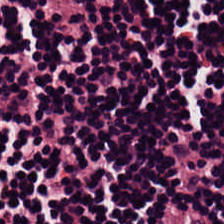Hematoxylin and eosin — The predominant tissue is lymphocyte aggregate.
